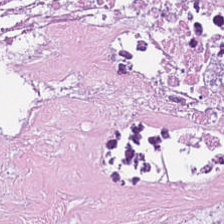{"tissue_type": "debris"}
